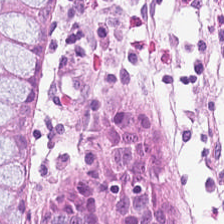H&E-stained section; the field shows non-neoplastic colon mucosa.
